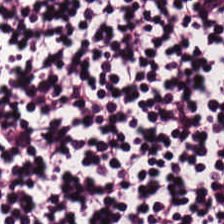Hematoxylin-and-eosin stained section — {"tissue_type": "lymphocytic infiltrate"}
